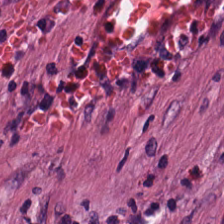Hematoxylin and eosin. Tissue: tumor stroma.
